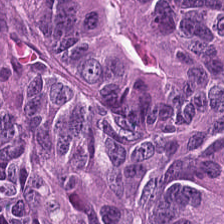Hematoxylin and eosin. Tissue type: malignant epithelium.
